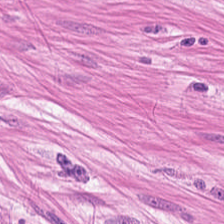H&E stain — The classification is smooth-muscle tissue.
